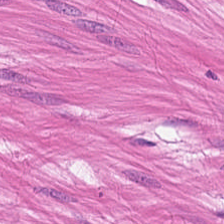H&E stain. Tissue class: muscularis.
